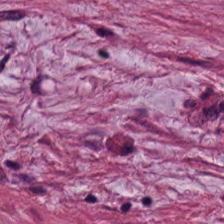Formalin-fixed paraffin-embedded section; H&E-stained tissue section; 224×224 px tile. This patch shows tumor-associated stroma.
